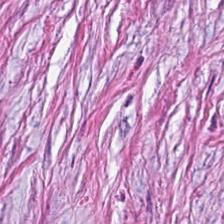H&E-stained tissue section.
Q: What tissue is shown?
A: The field shows desmoplastic stroma.
